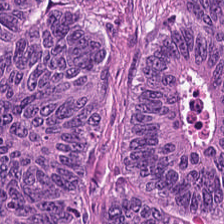{"tissue_type": "colorectal adenocarcinoma"}
